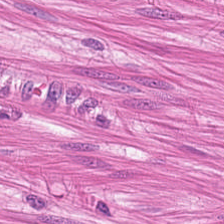Smooth-muscle tissue.
